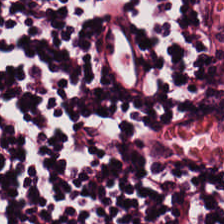Tissue class = lymphoid infiltrate.
